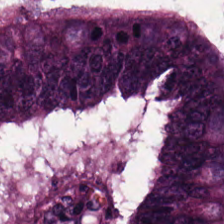0.5 µm/px. H&E — Q: Identify the tissue.
A: This is colorectal adenocarcinoma.
